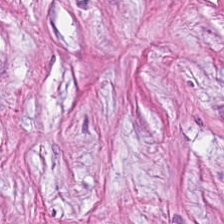H&E stain — Q: What does this patch show?
A: This is desmoplastic stroma.
